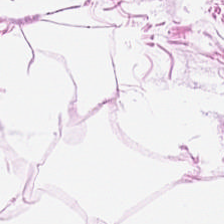Fat tissue.
